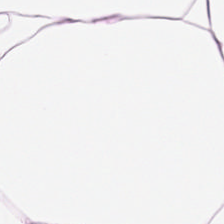H&E-stained section; the field shows adipocytes.
